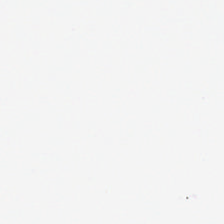H&E. The classification is background.
